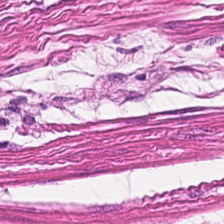H&E stain.
The tissue here is smooth muscle.
